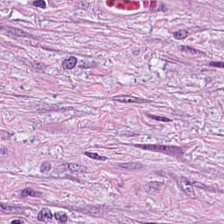Hematoxylin and eosin.
{"tissue_type": "tumor-associated stroma"}
